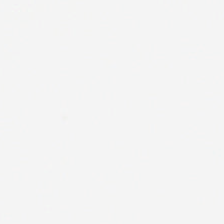Hematoxylin and eosin. Q: What is shown here?
A: It is background (no tissue).
